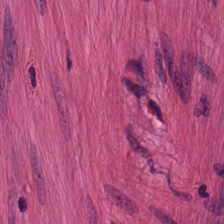Hematoxylin and eosin · 0.5 µm per pixel — This patch shows smooth muscle.
